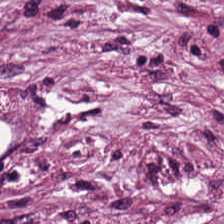Hematoxylin and eosin · 0.5 microns per pixel.
Q: What tissue is shown?
A: It is tumor-associated stroma.
